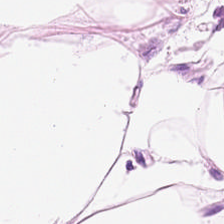Stain: H&E.
Classification: adipose tissue.
